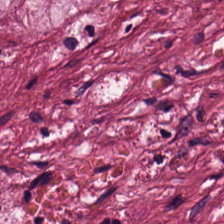Hematoxylin and eosin.
Histology — tumor-associated stroma.
